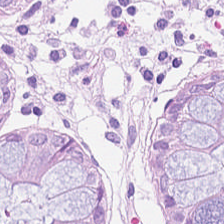Q: What does this patch show?
A: This is benign colonic mucosa.
